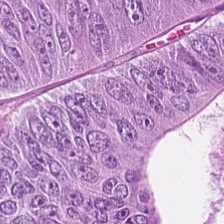H&E-stained tissue section. 0.5 µm/px.
Q: Classify this patch.
A: The field shows tumor epithelium.
